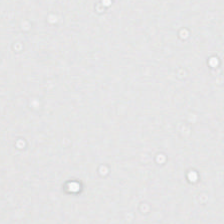H&E-stained tissue section — Empty field — no tissue.
